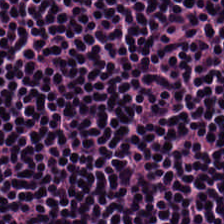Histology — lymphoid infiltrate.
